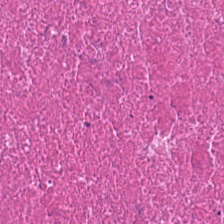Stain: hematoxylin and eosin.
Classification: necrotic debris.
